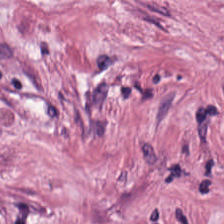Hematoxylin and eosin · 0.5 microns per pixel — The classification is cancer-associated stroma.
